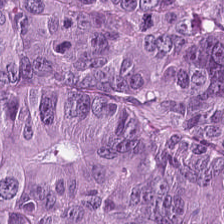Classification — adenocarcinoma.
